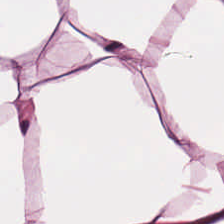224×224 px tile; H&E. Q: What type of tissue is this?
A: Adipose tissue.
